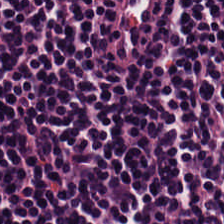H&E-stained tissue section. Tissue class: lymphocytes.
